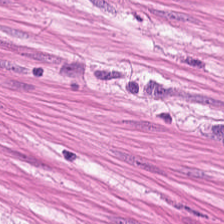H&E · 224×224 pixel tile — Finding → smooth muscle.
